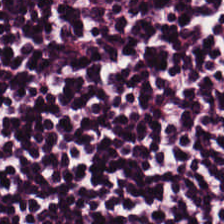Hematoxylin and eosin; FFPE. This patch shows lymphocytic infiltrate.
